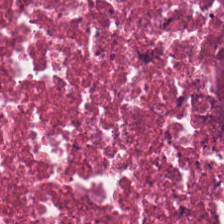Hematoxylin and eosin — Classification — cellular debris.
